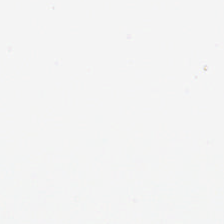H&E — Q: What is shown here?
A: This is empty background.
